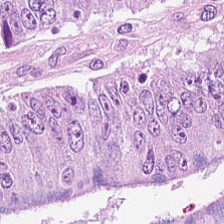Predominantly colorectal adenocarcinoma epithelium.
